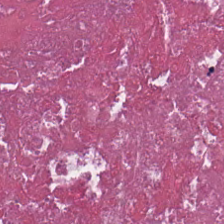Hematoxylin and eosin — Q: Identify the tissue.
A: Necrotic debris.
